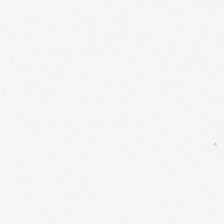H&E-stained tissue section. Histology → background.
